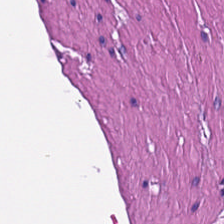H&E-stained tissue section · FFPE · 224×224 px tile — Showing smooth muscle.
